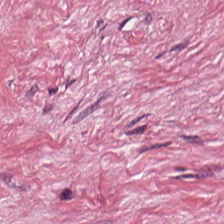Stain: H&E stain.
Tissue class: tumor-associated stroma.
